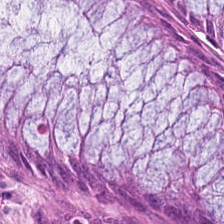H&E-stained tissue section showing benign colonic mucosa.
